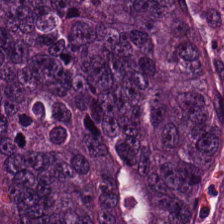224×224 pixel tile. 0.5 microns per pixel. H&E-stained tissue section. Q: What is the predominant tissue type?
A: This is adenocarcinoma.
